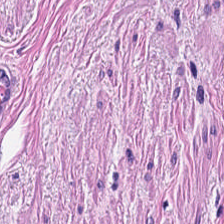0.5 µm/px; H&E. Smooth muscle.
